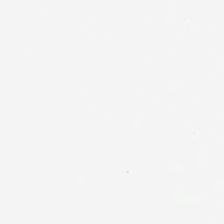H&E — Q: What does this patch show?
A: Background.
